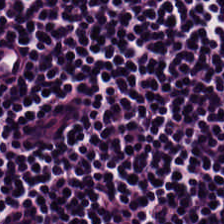Brightfield microscopy. H&E — Tissue class — lymphocytic infiltrate.
